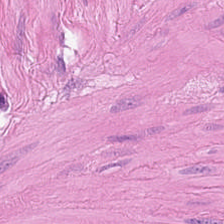H&E — Q: Identify the tissue.
A: This is smooth muscle.
